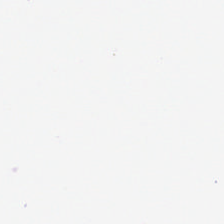Classification: background.
